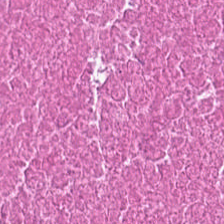Stain: hematoxylin-and-eosin stained section.
Tissue class: debris.
